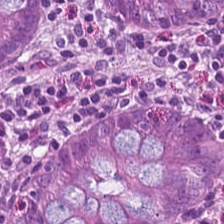The classification is benign colonic mucosa.
